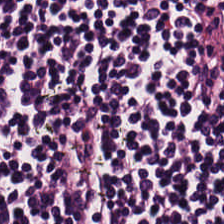H&E stain · 224×224 px tile. This patch shows lymphocytes.
